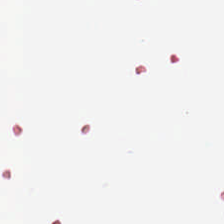Hematoxylin-and-eosin stained section — This field is background (no tissue).
